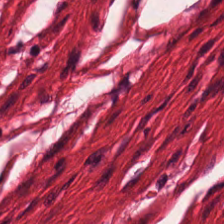Hematoxylin-and-eosin stained section.
Histology — muscularis.
